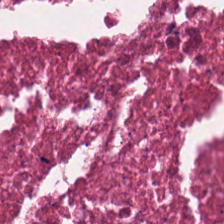Hematoxylin and eosin. Q: What tissue type is shown here?
A: This is cellular debris.
